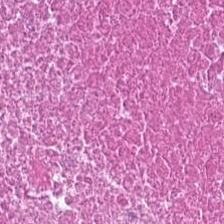Hematoxylin-and-eosin stained section. Finding → cellular debris.
